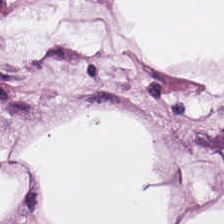Tissue: fat tissue.
